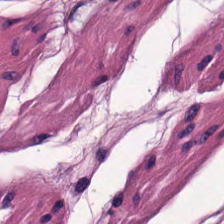Stain: H&E-stained tissue section.
Tissue: smooth muscle.
